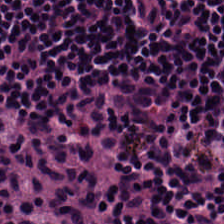FFPE; H&E stain — Q: What does this patch show?
A: It is lymphocyte aggregate.
